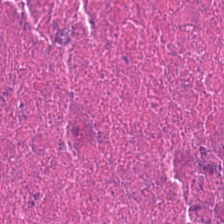H&E stain · FFPE tissue section.
This field is cellular debris.
